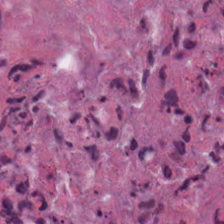{"tissue_type": "debris"}
